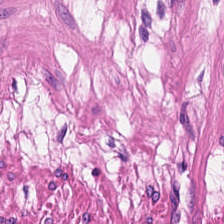H&E. Predominant tissue — smooth muscle.
